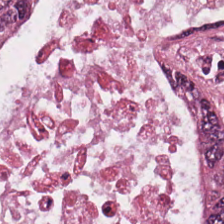Formalin-fixed paraffin-embedded section; H&E. The predominant tissue is colorectal adenocarcinoma.
